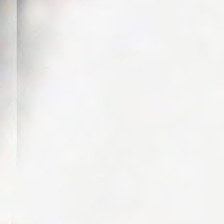H&E. 224×224 px patch. 0.5 µm per pixel.
Empty background.
